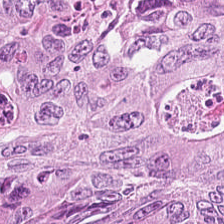H&E-stained tissue section. Q: What does this patch show?
A: This is adenocarcinoma.
